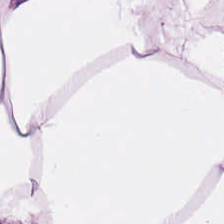0.5 µm per pixel · hematoxylin-and-eosin stained section — Q: What is shown here?
A: The field shows adipose.
